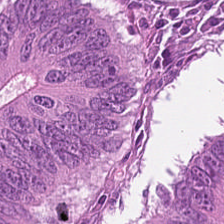Stain: H&E.
Resolution: 20× equivalent magnification.
Predominant tissue: adenocarcinoma.
